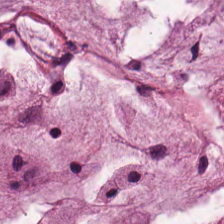WSI patch · H&E-stained tissue section.
Mucin.
